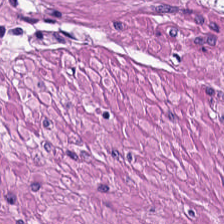{"tissue_type": "smooth muscle"}
